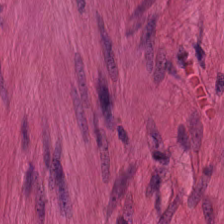Hematoxylin-and-eosin stained section · FFPE tissue section.
The tissue here is muscularis.
